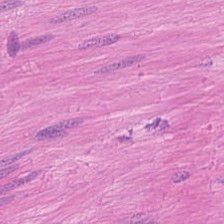H&E. 224×224 px tile — Muscularis.
